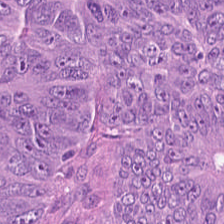Hematoxylin and eosin.
Predominant tissue = tumor epithelium.
